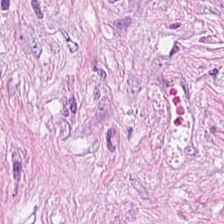H&E-stained tissue section. WSI patch — This field is tumor stroma.
